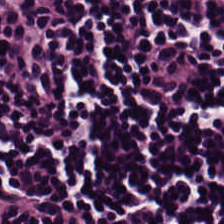Hematoxylin and eosin; FFPE tissue section — Q: What is shown in this field?
A: It is lymphoid infiltrate.
